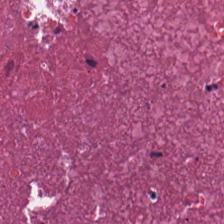Stain: hematoxylin-and-eosin stained section.
Acquisition: brightfield.
Tissue class: cellular debris.
